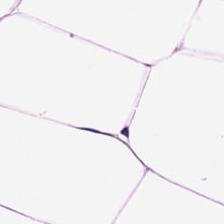Hematoxylin-and-eosin stained section. 224×224 px tile. Q: What tissue is shown?
A: Adipose.
